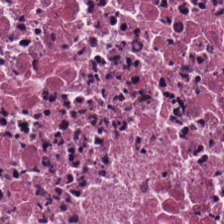H&E stain. Tissue: necrotic debris.
